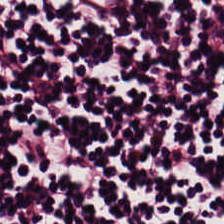20× equivalent magnification. FFPE tissue section. Hematoxylin-and-eosin stained section — Lymphocytes.
